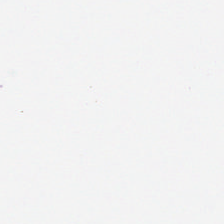Background (no tissue).
